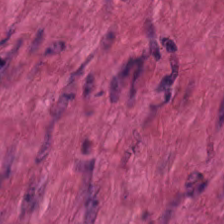H&E-stained tissue section — Showing smooth-muscle tissue.
